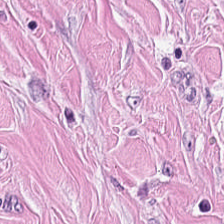Stain: H&E.
Tissue type: cancer-associated stroma.
